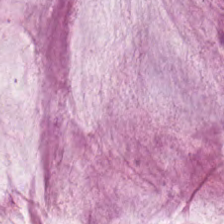Hematoxylin and eosin — The tissue type is extracellular mucin.
